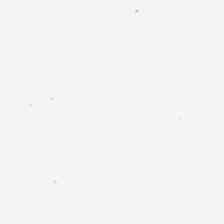FFPE tissue section; H&E-stained tissue section; brightfield microscopy. Field content — no tissue.
